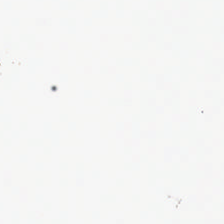H&E · formalin-fixed paraffin-embedded section. No tissue present; background only.
